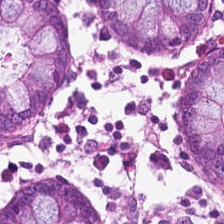Stain: H&E stain.
Tissue: benign colonic mucosa.
